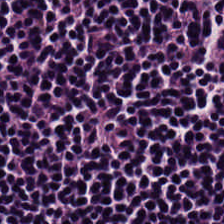0.5 microns per pixel · 224×224 px tile · H&E-stained tissue section — Q: What tissue type is shown here?
A: It is lymphocytic infiltrate.
